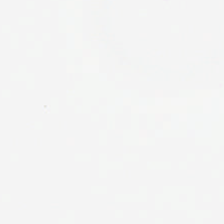Classification — empty background.
